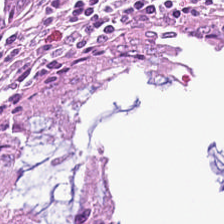Showing normal colon mucosa.
